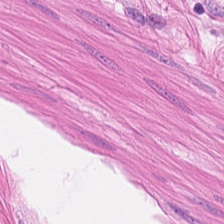224×224 px patch · FFPE tissue section · hematoxylin-and-eosin stained section — Q: Identify the tissue.
A: Muscularis.
